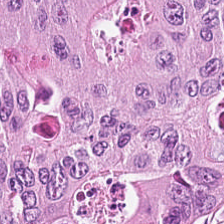H&E-stained tissue section showing malignant epithelium.
